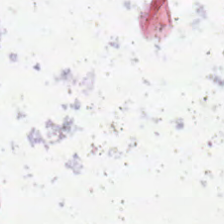0.5 µm per pixel · hematoxylin-and-eosin stained section.
Background — no tissue in this field.
